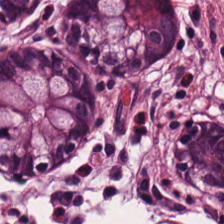Hematoxylin and eosin; whole-slide-image patch.
Q: Identify the tissue.
A: This is non-neoplastic colon mucosa.
